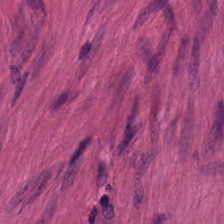H&E — The tissue class is smooth-muscle tissue.
